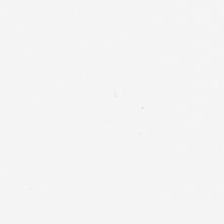H&E-stained tissue section. Q: What does this patch show?
A: The field shows no tissue.
